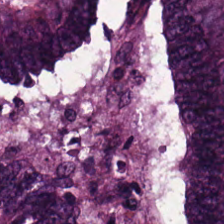H&E. {"tissue_type": "tumor epithelium"}
